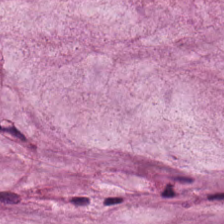H&E-stained tissue section.
This patch shows mucus.
